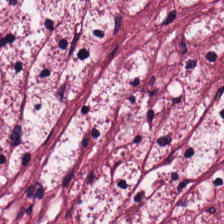Stain: H&E stain.
Resolution: 20× equivalent magnification.
Preparation: FFPE.
Tissue class: cancer-associated stroma.
